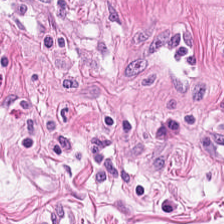Hematoxylin and eosin. The tissue here is smooth muscle.
